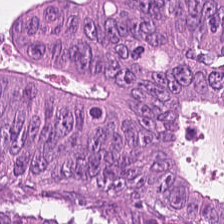H&E stain · 0.5 microns per pixel — Finding — colorectal adenocarcinoma.
